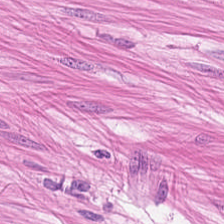H&E-stained tissue section — Classification = smooth-muscle tissue.
